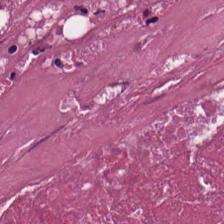H&E-stained tissue section · 224×224 pixel tile.
The predominant tissue is cellular debris.
